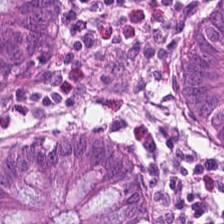H&E-stained tissue section. Showing normal colonic mucosa.
